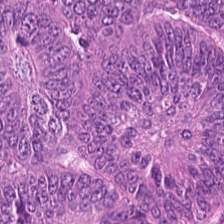0.5 µm per pixel; FFPE tissue section; H&E-stained tissue section.
Classification: colorectal adenocarcinoma.
